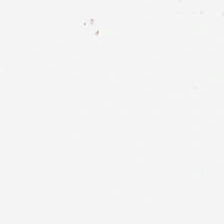H&E-stained tissue section.
The field content is empty background.
